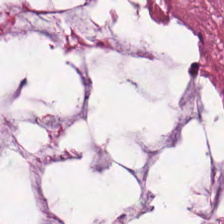The tissue is mucin.
